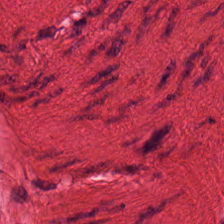Hematoxylin-and-eosin stained section · 0.5 microns per pixel · WSI patch — Tissue class — smooth-muscle tissue.
